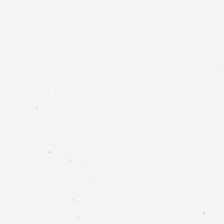Hematoxylin-and-eosin stained section · 0.5 µm per pixel — Empty field — background.
